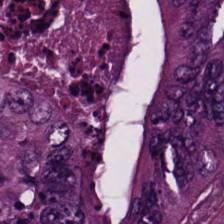0.5 microns per pixel; H&E. The predominant tissue is tumor epithelium.
